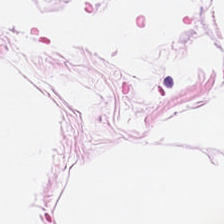Stain: H&E stain.
Preparation: FFPE.
Tissue class: adipose tissue.
